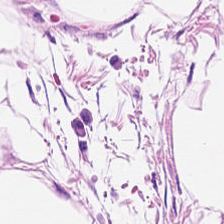Stain: H&E-stained tissue section.
Resolution: 20× equivalent magnification.
Tile size: 224×224 pixel tile.
Classification: adipose.
